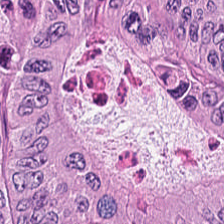Hematoxylin-and-eosin stained section. Brightfield microscopy — Tissue — malignant epithelium.
